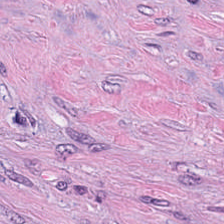Stain: hematoxylin-and-eosin stained section.
Tissue: desmoplastic stroma.
